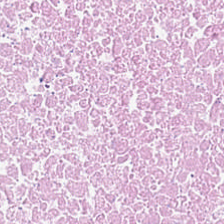Classification = cellular debris.
